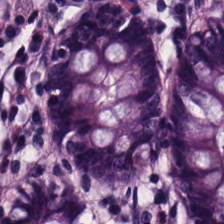Q: Identify the tissue.
A: The field shows normal colonic mucosa.
